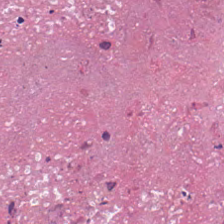Tissue: cellular debris.
